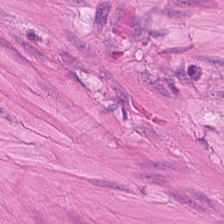Q: What tissue is shown?
A: It is smooth muscle.
